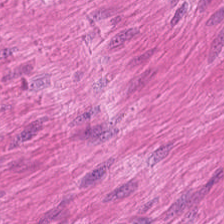20× equivalent magnification; H&E — Tissue type — muscularis.
